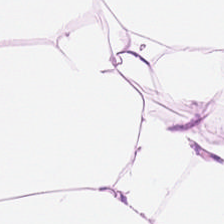Impression → adipocytes.
